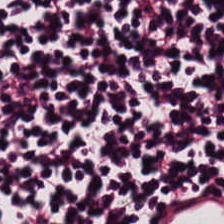H&E. Predominant tissue — lymphoid infiltrate.
